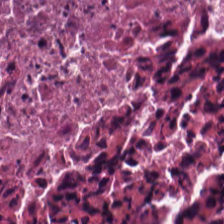Histology → necrotic debris.
